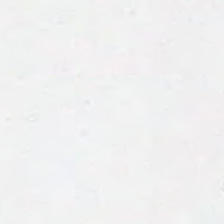Formalin-fixed paraffin-embedded section. Hematoxylin and eosin — Field content = background (no tissue).
